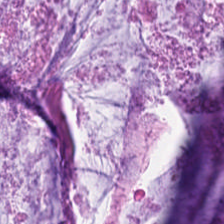H&E-stained tissue section.
Classification — extracellular mucin.
